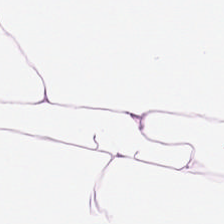Impression → fat tissue.
